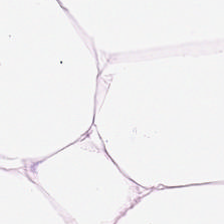Classification: fat tissue.
